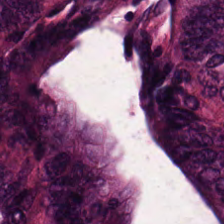Impression → colorectal adenocarcinoma.
